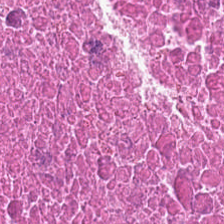Stain: H&E stain.
Tile size: 224×224 pixel tile.
Preparation: formalin-fixed paraffin-embedded section.
Predominant tissue: debris.
